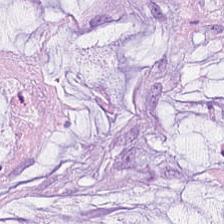WSI patch. H&E stain — Tissue type: extracellular mucin.
